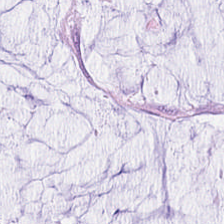H&E · brightfield.
Q: What does this patch show?
A: Mucin.
